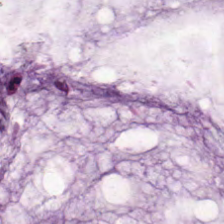H&E stain. Finding → extracellular mucin.
